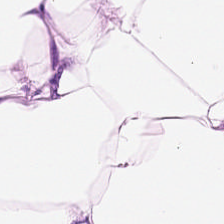H&E — fat tissue.
